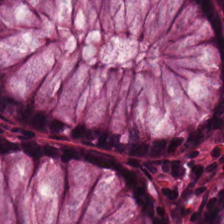H&E stain. Q: Identify the tissue.
A: It is benign colonic mucosa.
